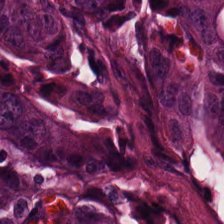Predominantly colorectal adenocarcinoma epithelium.
